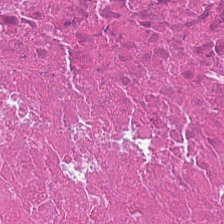Tissue class: debris.
